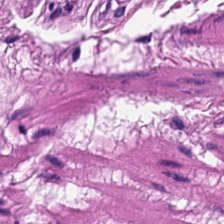H&E-stained section; the field shows smooth-muscle tissue.
